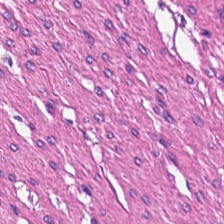Hematoxylin-and-eosin stained section · 224×224 pixel tile — Predominantly smooth-muscle tissue.
